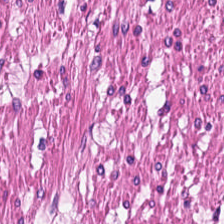H&E-stained tissue section — Tissue: muscularis.
